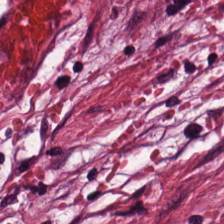Showing cancer-associated stroma.
